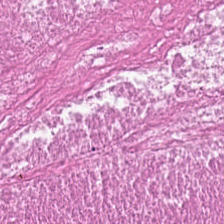Hematoxylin and eosin. 0.5 µm/px. Tissue — debris.
